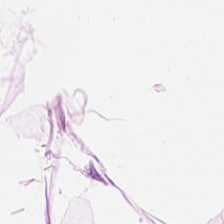H&E.
Adipose tissue.
